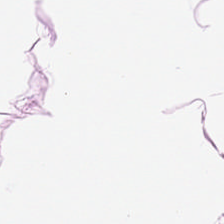Q: What tissue type is shown here?
A: This is fat tissue.
